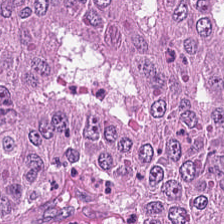H&E-stained tissue section. Brightfield microscopy. 20× equivalent magnification — Histology — colorectal adenocarcinoma epithelium.
